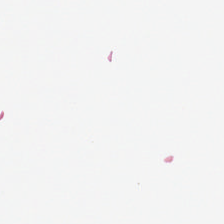{"content": "empty background"}
